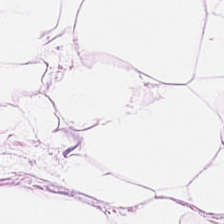Stain: hematoxylin-and-eosin stained section.
Preparation: FFPE.
Classification: adipose.
